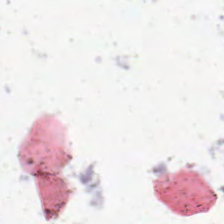H&E. Content = background (no tissue).
